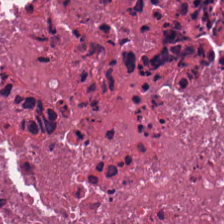20× equivalent magnification. H&E-stained tissue section. WSI patch. The predominant tissue is cellular debris.
